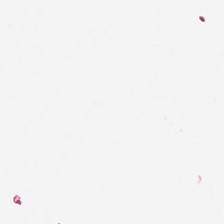H&E stain.
No tissue present; background only.
